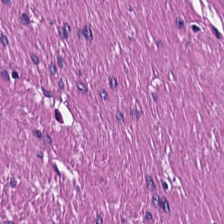Hematoxylin and eosin — Tissue class = smooth muscle.
